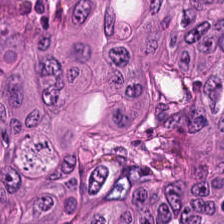224×224 px patch · hematoxylin-and-eosin stained section.
Showing colorectal adenocarcinoma epithelium.
